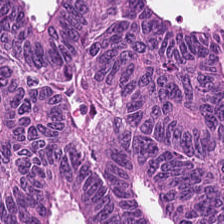H&E — Colorectal adenocarcinoma epithelium.
